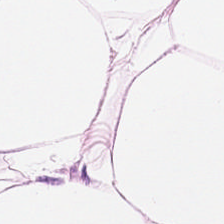{"tissue_type": "adipocytes"}
